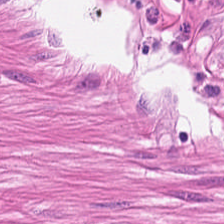Q: What does this patch show?
A: It is muscularis.
